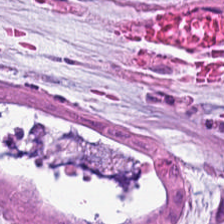H&E — mucin.
